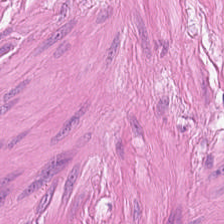Formalin-fixed paraffin-embedded section; hematoxylin and eosin.
{"tissue_type": "smooth muscle"}
